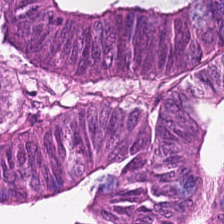H&E-stained tissue section. 224×224 px tile — Tissue = colorectal adenocarcinoma.
